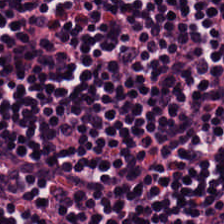H&E stain.
The tissue here is lymphocytic infiltrate.
